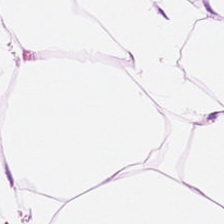H&E-stained tissue section — Showing adipocytes.
